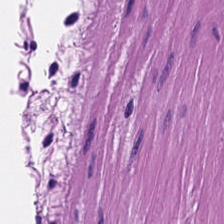This patch shows smooth muscle.
